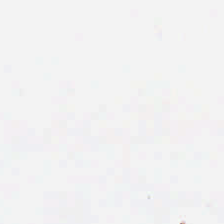H&E stain.
This field is background (no tissue).
